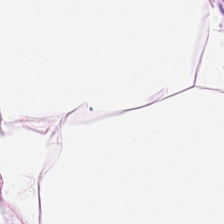Q: What does this patch show?
A: Adipose.
